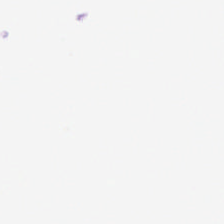This field is background (no tissue).
